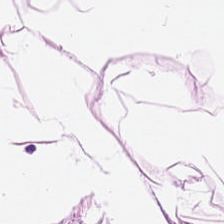Hematoxylin and eosin.
Q: What tissue is shown?
A: It is adipose.
